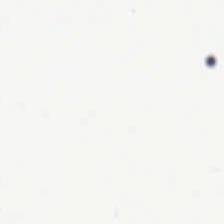H&E stain. The content is background.
